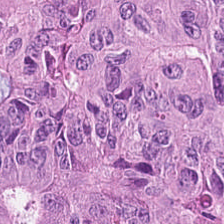Finding — colorectal adenocarcinoma epithelium.
